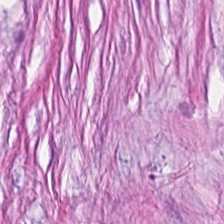Hematoxylin and eosin.
Impression → tumor-associated stroma.
